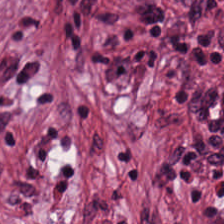Whole-slide-image patch. Hematoxylin and eosin.
The predominant tissue is tumor stroma.
